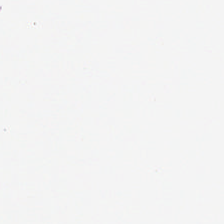H&E stain. FFPE tissue section.
Q: What is shown here?
A: The field shows background.
